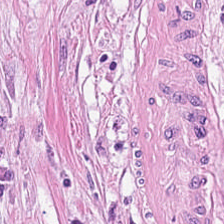Hematoxylin-and-eosin stained section.
This patch shows tumor-associated stroma.
